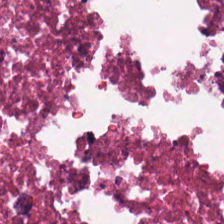224×224 px tile · H&E-stained tissue section · brightfield microscopy. Q: What is shown here?
A: Cellular debris.
